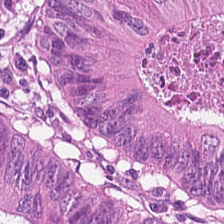224×224 px patch. Hematoxylin-and-eosin stained section.
Q: What tissue type is shown here?
A: It is adenocarcinoma.
